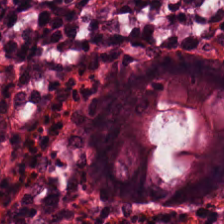H&E stain.
{"tissue_type": "non-neoplastic colon mucosa"}
